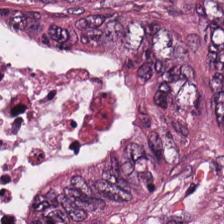H&E — This patch shows adenocarcinoma.
